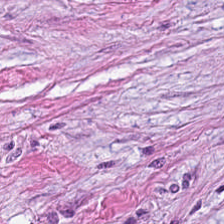H&E.
Predominant tissue: tumor-associated stroma.
